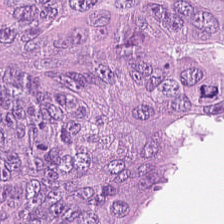Q: What tissue is shown?
A: Colorectal adenocarcinoma.
